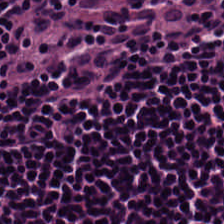H&E stain · brightfield.
This field is lymphocyte aggregate.
